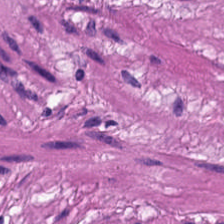Hematoxylin and eosin. The predominant tissue is muscularis.
